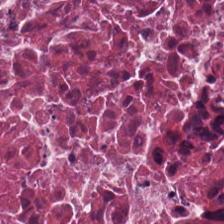The tissue here is debris.
